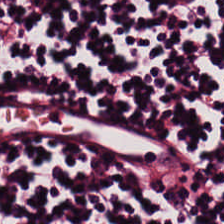224×224 pixel tile. FFPE tissue section. H&E stain.
Classification: lymphocytic infiltrate.
